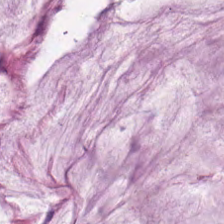H&E; 0.5 µm per pixel.
Extracellular mucin.
